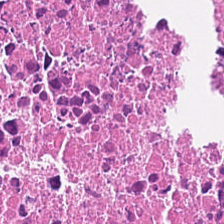Stain: H&E-stained tissue section.
Resolution: 0.5 µm per pixel.
Predominant tissue: necrotic debris.
